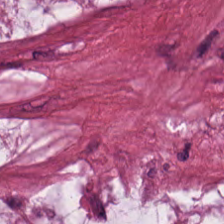Hematoxylin and eosin. WSI patch. Q: Classify this patch.
A: The field shows mucus.
